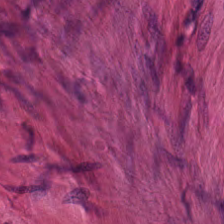Stain: hematoxylin and eosin.
Tissue: muscularis.
